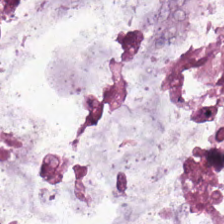H&E stain. Mucus.
